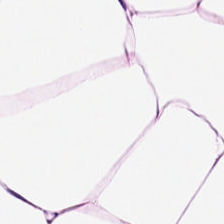Hematoxylin and eosin · 224×224 px tile.
Q: Classify this patch.
A: Fat tissue.
